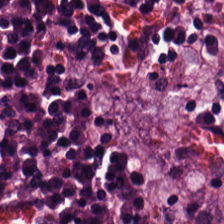Stain: hematoxylin and eosin.
Resolution: 0.5 µm per pixel.
Tissue: tumor epithelium.
